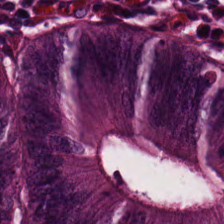H&E · 224×224 px patch. This patch shows colorectal adenocarcinoma.
